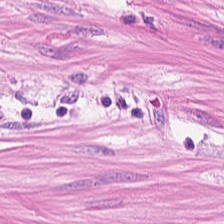H&E-stained tissue section. Muscularis.
